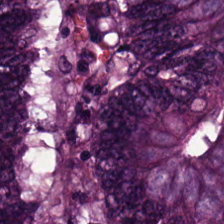Hematoxylin and eosin. 224×224 px patch. Q: What does this patch show?
A: The field shows malignant epithelium.
